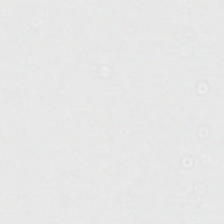H&E stain. FFPE tissue section. 224×224 px tile. This patch shows background.
